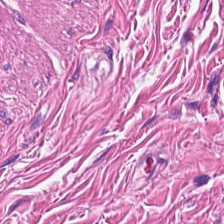Stain: H&E-stained tissue section.
Tissue class: smooth-muscle tissue.
